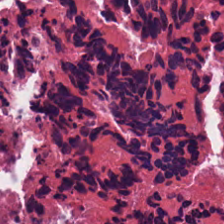This field is debris.
